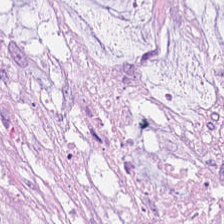H&E-stained tissue section showing mucin.
